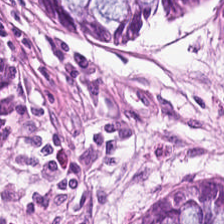The tissue type is non-neoplastic colon mucosa.
